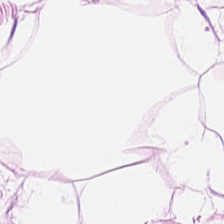H&E stain — Showing adipose.
